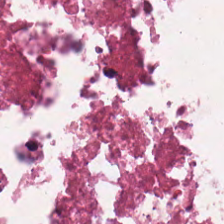This field is cellular debris.
